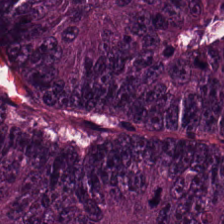Q: Classify this patch.
A: This is colorectal adenocarcinoma.
